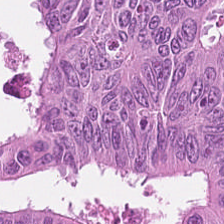224×224 pixel tile. H&E stain — The classification is malignant epithelium.
